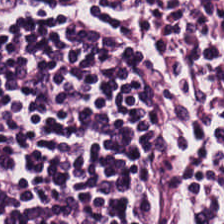H&E.
This patch shows lymphocytic infiltrate.
